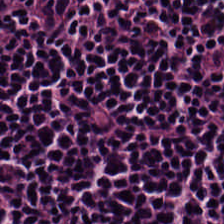H&E. Formalin-fixed paraffin-embedded section. Brightfield — This patch shows lymphocytic infiltrate.
